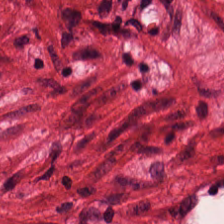H&E — Impression → muscularis.
